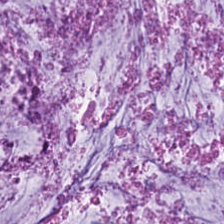FFPE tissue section; hematoxylin-and-eosin stained section.
Classification = mucin.
